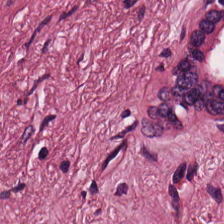224×224 px tile. H&E — Tissue type = tumor-associated stroma.
